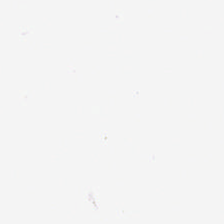H&E-stained tissue section. Classification: background.
